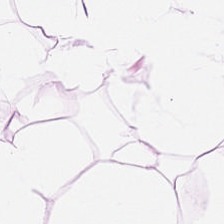0.5 µm per pixel. Formalin-fixed paraffin-embedded section. Hematoxylin-and-eosin stained section — Impression — adipocytes.
